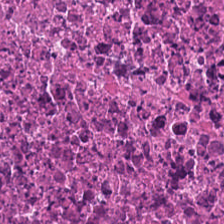H&E-stained tissue section; 224×224 px patch; 0.5 µm per pixel. {"tissue_type": "cellular debris"}
